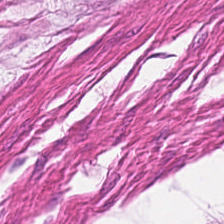Formalin-fixed paraffin-embedded section. Hematoxylin and eosin.
Impression — muscularis.
